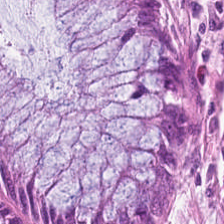Hematoxylin-and-eosin stained section · brightfield microscopy · 0.5 microns per pixel — Predominantly benign colonic mucosa.
